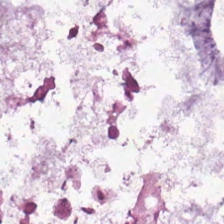H&E-stained tissue section.
The tissue is mucin.
